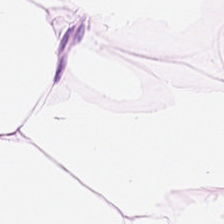H&E-stained tissue section; formalin-fixed paraffin-embedded section; 0.5 microns per pixel — Showing adipocytes.
